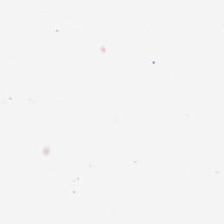H&E stain. Brightfield. 224×224 px patch — Impression → background (no tissue).
